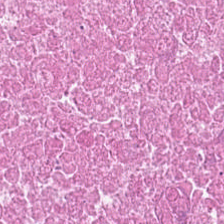Stain: H&E stain.
Preparation: FFPE.
Resolution: 20× equivalent magnification.
Tissue: cellular debris.
